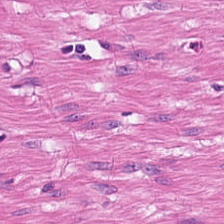H&E-stained tissue section · 224×224 px patch · FFPE tissue section.
This patch shows muscularis.
